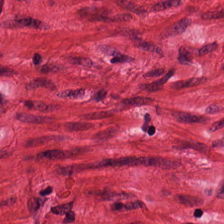H&E — smooth muscle.
